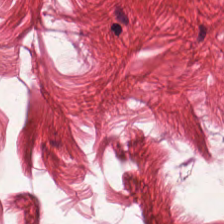H&E-stained tissue section.
This patch shows muscularis.
